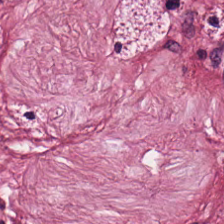Q: What is shown here?
A: Tumor stroma.
